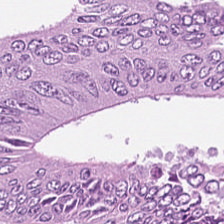Tissue class — tumor epithelium.
